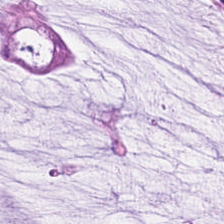Formalin-fixed paraffin-embedded section; hematoxylin and eosin. Tissue class = mucin.
